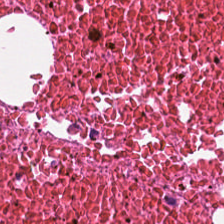H&E.
Predominant tissue — necrotic debris.
